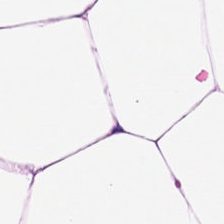H&E-stained tissue section; formalin-fixed paraffin-embedded section — This patch shows fat tissue.
